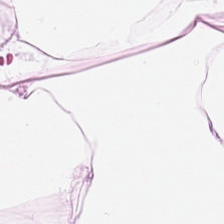224×224 pixel tile · H&E · 0.5 µm per pixel. Predominantly adipose tissue.
